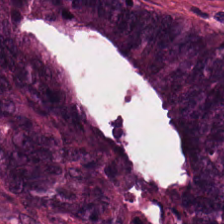Classification = tumor epithelium.
